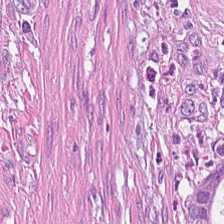This field is desmoplastic stroma.
